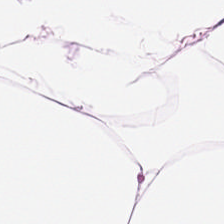Hematoxylin-and-eosin section: adipocytes.
